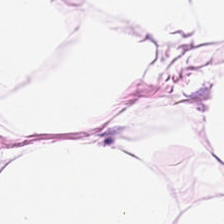H&E-stained tissue section.
{"tissue_type": "adipose tissue"}
